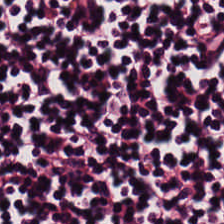Stain: H&E-stained tissue section.
Resolution: 0.5 microns per pixel.
Tissue type: lymphocytic infiltrate.
